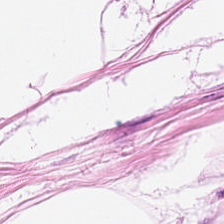Hematoxylin and eosin · brightfield microscopy. Tissue class — adipocytes.
